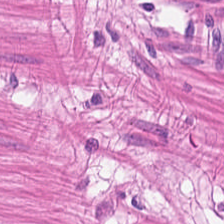Stain: H&E-stained tissue section.
Classification: smooth muscle.
